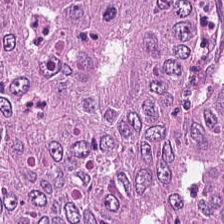H&E-stained tissue section.
Predominantly colorectal adenocarcinoma epithelium.
